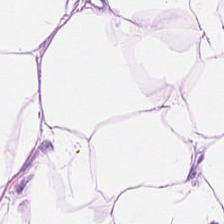224×224 px tile. Whole-slide-image patch. H&E-stained tissue section. Adipose tissue.
